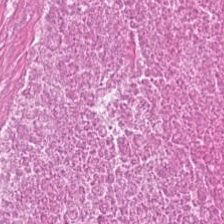FFPE tissue section · hematoxylin and eosin. Tissue — debris.
